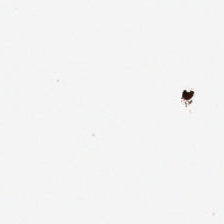Background — no tissue in this field.
